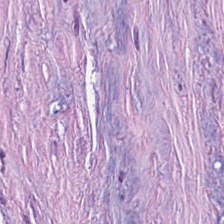224×224 pixel tile · H&E stain. Q: What tissue is shown?
A: Cancer-associated stroma.
